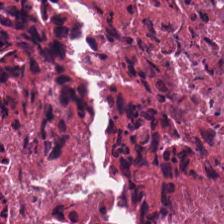Hematoxylin and eosin. This field is debris.
